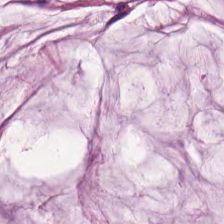Stain: H&E stain.
Resolution: 0.5 microns per pixel.
Tile size: 224×224 pixel tile.
Predominant tissue: mucin.
